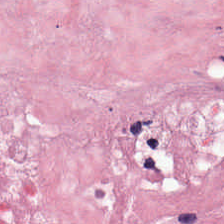This field is desmoplastic stroma.
